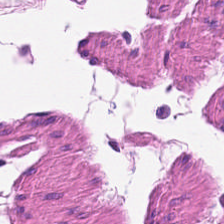Hematoxylin and eosin.
Showing smooth muscle.
